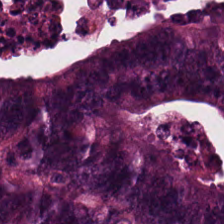Stain: hematoxylin-and-eosin stained section.
Predominant tissue: colorectal adenocarcinoma epithelium.
